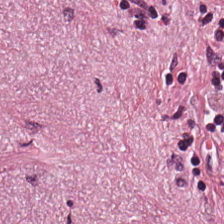{"tissue_type": "tumor-associated stroma"}
